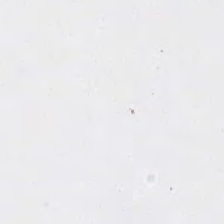WSI patch · FFPE tissue section · hematoxylin and eosin — The field content is no tissue.
